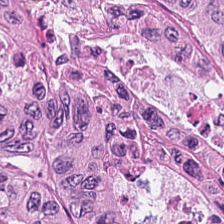Hematoxylin and eosin.
Tissue type — adenocarcinoma.
